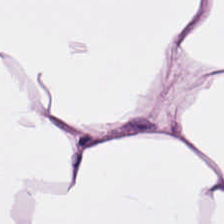Stain: H&E-stained tissue section.
Classification: adipose.
